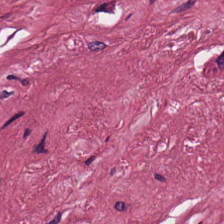FFPE. H&E stain. The tissue is tumor stroma.
